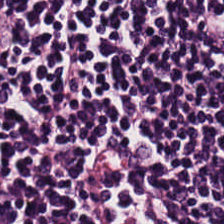FFPE. 0.5 µm/px. H&E — The tissue is lymphocytes.
